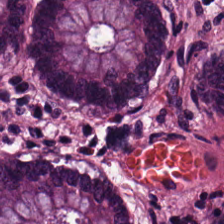FFPE. 0.5 µm per pixel. Hematoxylin and eosin. The tissue is benign colonic mucosa.
